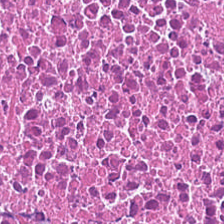Histology → debris.
